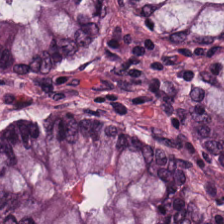H&E · 224×224 pixel tile · FFPE tissue section.
Q: Classify this patch.
A: The field shows non-neoplastic colon mucosa.
